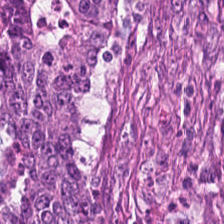WSI patch · hematoxylin-and-eosin stained section · formalin-fixed paraffin-embedded section.
The tissue here is colorectal adenocarcinoma epithelium.
